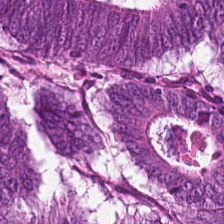H&E stain — Finding → colorectal adenocarcinoma.
